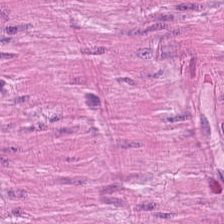H&E.
Impression — smooth muscle.
